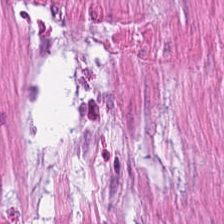H&E — Predominant tissue = smooth muscle.
